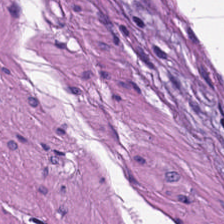Stain: hematoxylin-and-eosin stained section.
Classification: smooth muscle.
